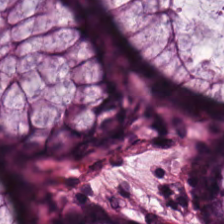224×224 pixel tile. H&E stain. Histology — normal colonic mucosa.
